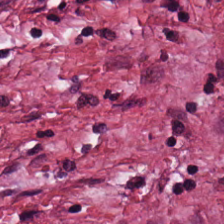Hematoxylin-and-eosin section: desmoplastic stroma.
